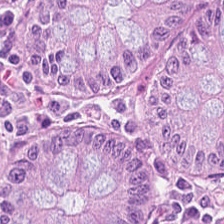{"tissue_type": "non-neoplastic colon mucosa"}
